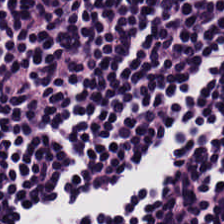Finding — lymphoid infiltrate.
